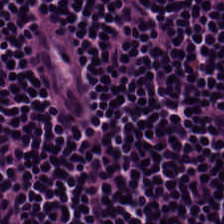Stain: hematoxylin and eosin.
Preparation: FFPE.
Acquisition: brightfield.
Tissue class: lymphocytes.
